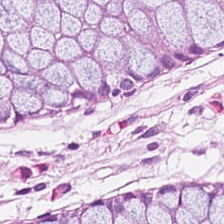{"tissue_type": "non-neoplastic colon mucosa"}
